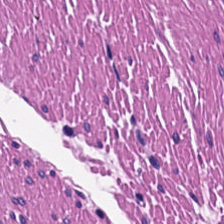H&E-stained tissue section. This field is smooth-muscle tissue.
